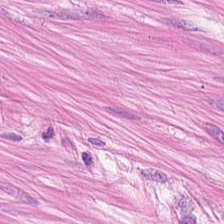H&E stain. Histology — smooth-muscle tissue.
